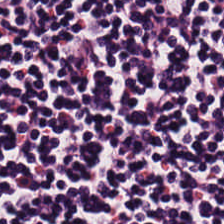H&E stain. This field is lymphocytes.
